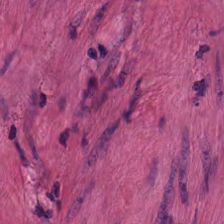{"tissue_type": "smooth-muscle tissue"}
